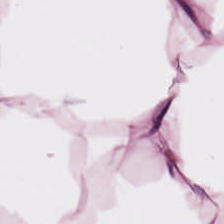H&E stain. Tissue class = adipose tissue.
